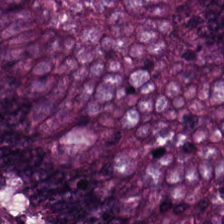H&E-stained tissue section — The tissue here is colorectal adenocarcinoma epithelium.
